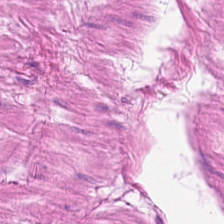Histology — muscularis.
